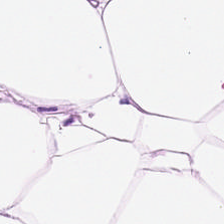FFPE. Hematoxylin and eosin. 0.5 µm/px — This patch shows adipocytes.
